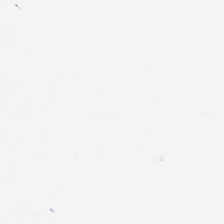Formalin-fixed paraffin-embedded section; H&E.
Field content: no tissue.
